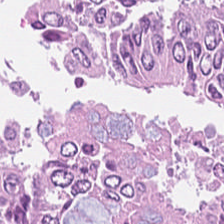Whole-slide-image patch; hematoxylin-and-eosin stained section — Histology — colorectal adenocarcinoma epithelium.
